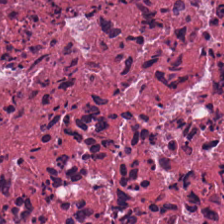224×224 pixel tile. H&E-stained tissue section.
The tissue is cellular debris.
